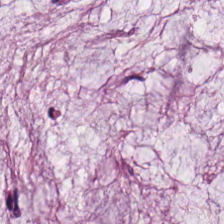Hematoxylin and eosin — The predominant tissue is mucin.
